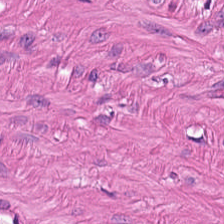Predominantly muscularis.
